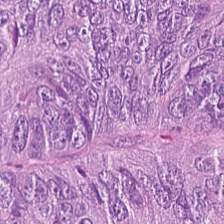H&E-stained tissue section; 224×224 px tile. Predominantly colorectal adenocarcinoma epithelium.
